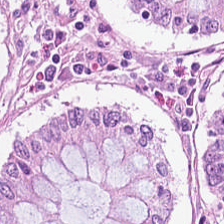H&E · 0.5 µm/px · brightfield microscopy — Predominantly normal colonic mucosa.
